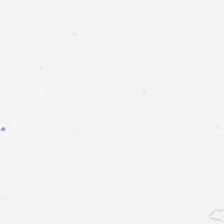H&E stain — Q: Classify this patch.
A: Background (no tissue).
